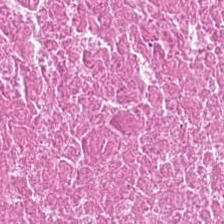0.5 µm/px · H&E-stained tissue section — Tissue type — debris.
